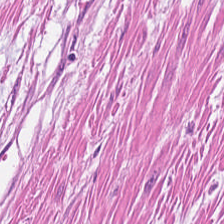This patch shows smooth-muscle tissue.
